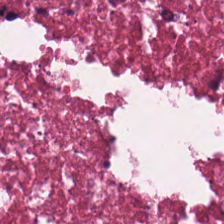H&E stain. Showing cellular debris.
